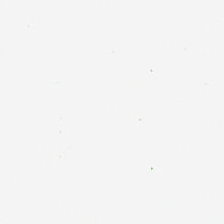Hematoxylin-and-eosin stained section; brightfield.
Content — background.
